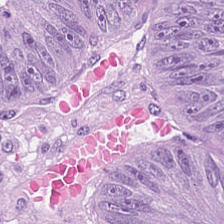Stain: hematoxylin and eosin.
Tissue class: colorectal adenocarcinoma epithelium.
